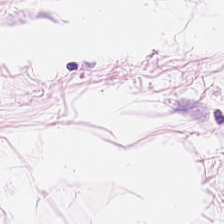Hematoxylin-and-eosin stained section. 224×224 px patch — Q: What is the predominant tissue type?
A: Fat tissue.
